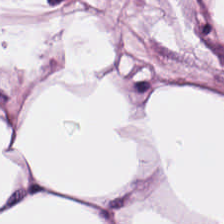Stain: H&E stain.
Tile size: 224×224 px tile.
Tissue: fat tissue.
